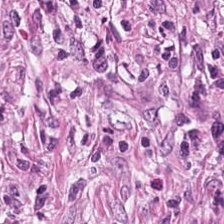Stain: H&E-stained tissue section.
Tissue class: desmoplastic stroma.
